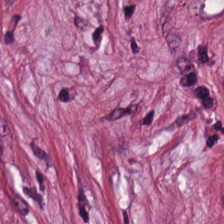H&E-stained tissue section.
Q: What does this patch show?
A: It is tumor-associated stroma.
